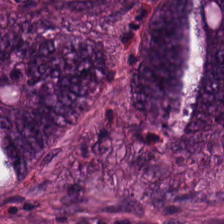Formalin-fixed paraffin-embedded section; H&E-stained tissue section.
The tissue here is adenocarcinoma.
